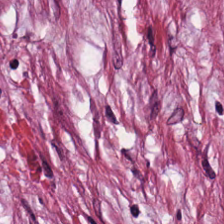Whole-slide-image patch; H&E stain.
The predominant tissue is tumor-associated stroma.
